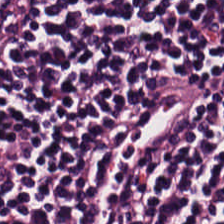H&E-stained tissue section — Showing lymphocytic infiltrate.
